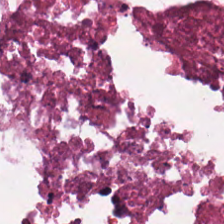H&E stain — Q: What is shown here?
A: This is necrotic debris.
